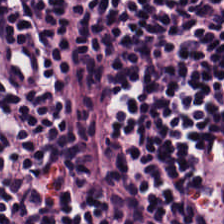Hematoxylin-and-eosin stained section; 0.5 µm/px.
Tissue: lymphocytes.
